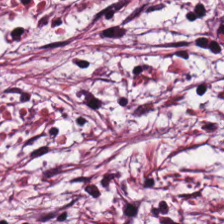H&E stain · brightfield. The tissue is tumor stroma.
